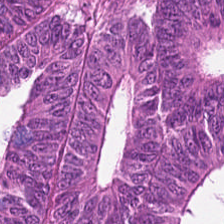224×224 px patch; H&E-stained tissue section — The tissue here is tumor epithelium.
